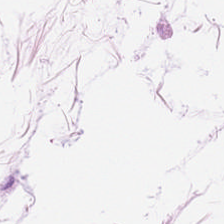This field is adipocytes.
